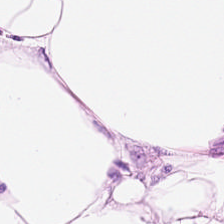H&E — Adipocytes.
